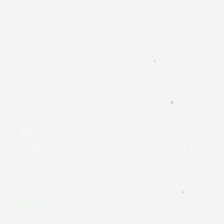This field is background (no tissue).
